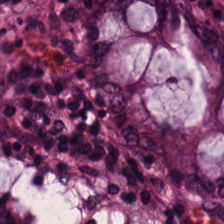Tissue class: normal colon mucosa.
